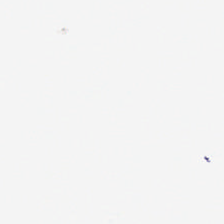Stain: hematoxylin and eosin.
Classification: empty background.
